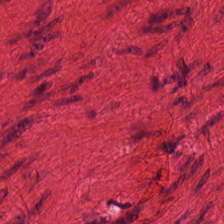Hematoxylin and eosin.
Tissue class — smooth muscle.
